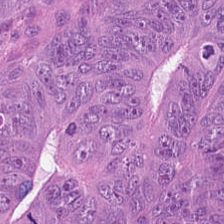Classification — adenocarcinoma.
